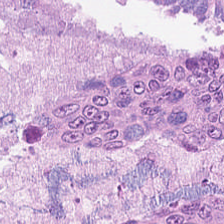H&E stain. The tissue here is colorectal adenocarcinoma epithelium.
